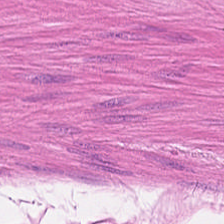{"tissue_type": "smooth-muscle tissue"}
